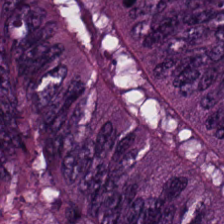Finding — adenocarcinoma.
